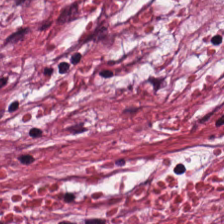Stain: H&E-stained tissue section.
Predominant tissue: tumor-associated stroma.
